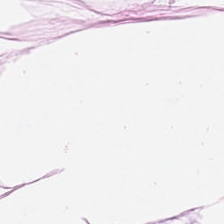Hematoxylin and eosin.
Showing adipose tissue.
